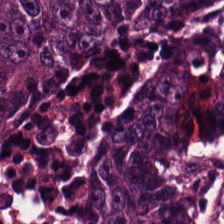H&E. The tissue here is colorectal adenocarcinoma epithelium.
